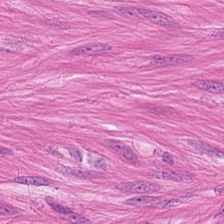20× equivalent magnification · H&E · FFPE tissue section.
{"tissue_type": "smooth-muscle tissue"}
